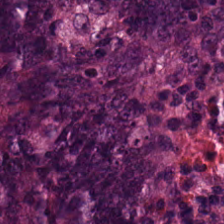This field is adenocarcinoma.
